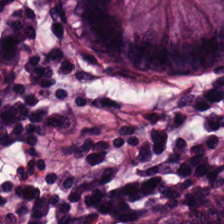H&E-stained tissue section. Tissue class: normal colon mucosa.
